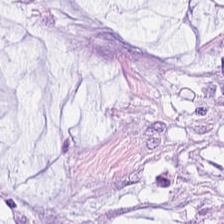{"tissue_type": "mucin"}
